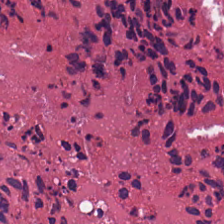Hematoxylin and eosin.
Classification — debris.
